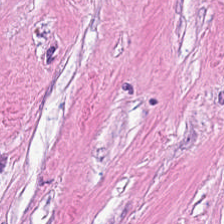Formalin-fixed paraffin-embedded section · H&E-stained tissue section. Q: What tissue type is shown here?
A: The field shows tumor stroma.
